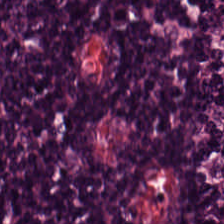Predominant tissue = lymphoid infiltrate.
